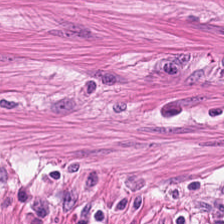H&E stain · brightfield microscopy.
Q: Classify this patch.
A: The field shows smooth muscle.
